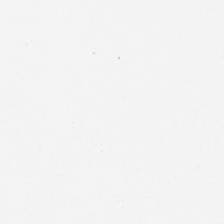WSI patch; H&E — {"content": "no tissue"}
